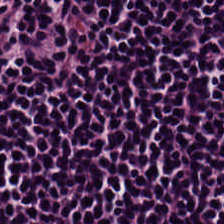Stain: H&E stain.
Classification: lymphocyte aggregate.
